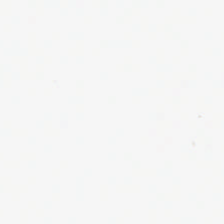H&E-stained tissue section. Empty field — empty background.
